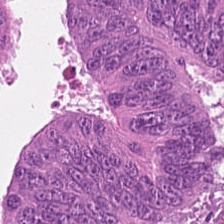Hematoxylin-and-eosin stained section; brightfield microscopy. Impression — colorectal adenocarcinoma epithelium.
